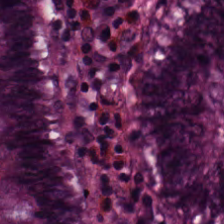Hematoxylin and eosin.
This patch shows non-neoplastic colon mucosa.
